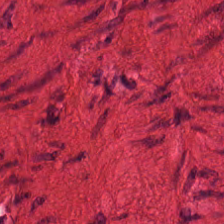Hematoxylin and eosin. The classification is muscularis.
